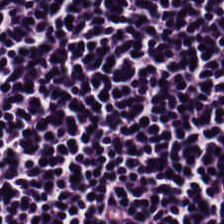Lymphocyte aggregate.
